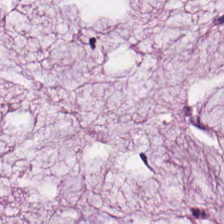FFPE tissue section. H&E stain. WSI patch.
Showing extracellular mucin.
